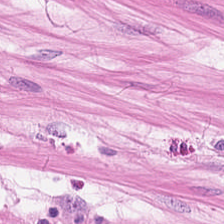Hematoxylin and eosin. 224×224 px patch. Smooth-muscle tissue.
